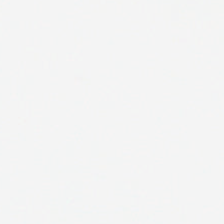Classification — empty background.
